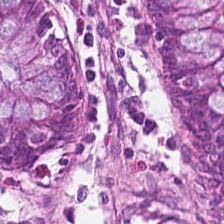Stain: hematoxylin and eosin.
Preparation: FFPE tissue section.
Classification: normal colonic mucosa.
